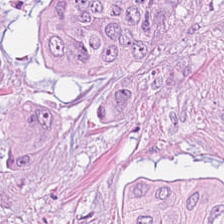Predominantly malignant epithelium.
